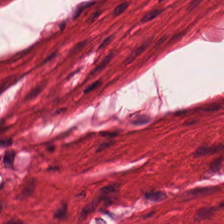224×224 pixel tile; hematoxylin and eosin. Q: What tissue type is shown here?
A: Smooth muscle.
